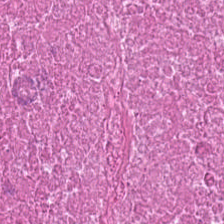Stain: hematoxylin and eosin.
Classification: cellular debris.
